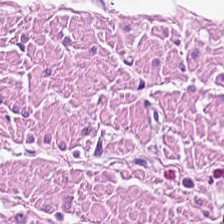Stain: H&E stain.
Tissue type: smooth muscle.
